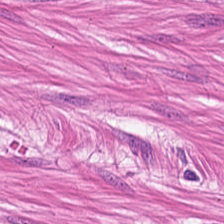H&E-stained section; the field shows smooth-muscle tissue.
